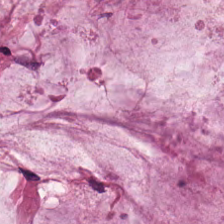Hematoxylin and eosin · FFPE — Predominantly mucin.
